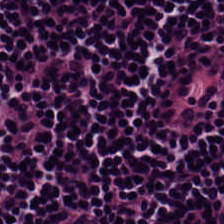0.5 µm/px; H&E — Q: What is shown here?
A: The field shows lymphocytes.
